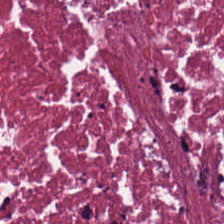FFPE. H&E. The tissue is cellular debris.
